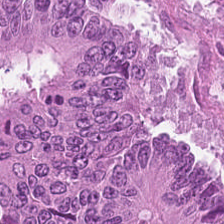H&E stain · whole-slide-image patch. Q: What is shown in this field?
A: It is colorectal adenocarcinoma epithelium.
